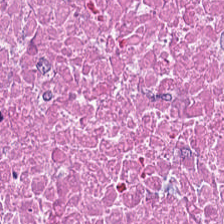Q: What is shown here?
A: It is debris.
